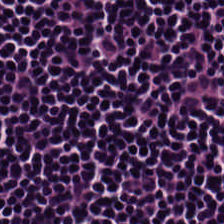Hematoxylin and eosin.
Tissue class: lymphocyte aggregate.
